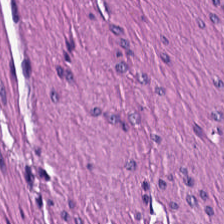Whole-slide-image patch; H&E; FFPE — The tissue here is smooth muscle.
